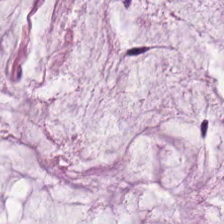Q: What does this patch show?
A: It is extracellular mucin.
